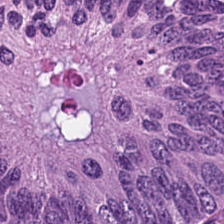224×224 pixel tile; H&E stain — The tissue class is adenocarcinoma.
